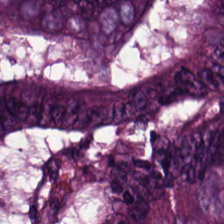Stain: H&E stain.
Classification: colorectal adenocarcinoma epithelium.
